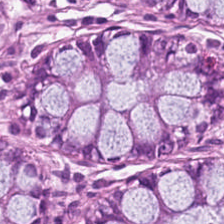FFPE. H&E stain — Tissue type = normal colon mucosa.
